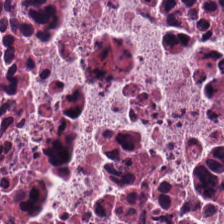Q: What is shown in this field?
A: Necrotic debris.
